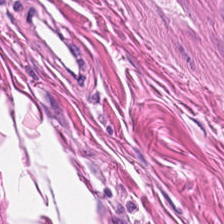Hematoxylin-and-eosin stained section — {"tissue_type": "smooth muscle"}
